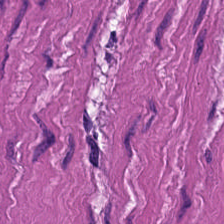20× equivalent magnification. Hematoxylin and eosin — Tissue = muscularis.
